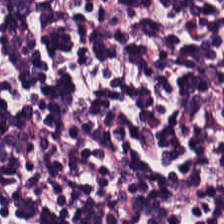Hematoxylin-and-eosin stained section.
Predominantly lymphocytic infiltrate.
